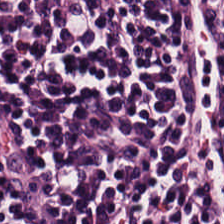224×224 px tile; formalin-fixed paraffin-embedded section; hematoxylin and eosin.
Tissue class: lymphoid infiltrate.
